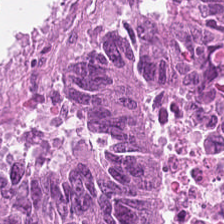H&E · WSI patch.
Q: What is the predominant tissue type?
A: This is tumor epithelium.
